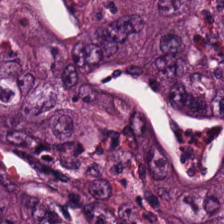H&E-stained tissue section. Predominant tissue = colorectal adenocarcinoma.
